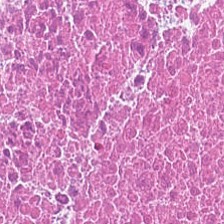Whole-slide-image patch; 0.5 microns per pixel; hematoxylin and eosin.
Q: What tissue is shown?
A: This is cellular debris.
